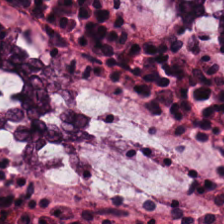224×224 px patch. 20× equivalent magnification. H&E.
{"tissue_type": "non-neoplastic colon mucosa"}
